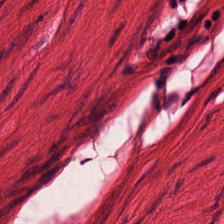H&E stain. Tissue class = smooth-muscle tissue.
